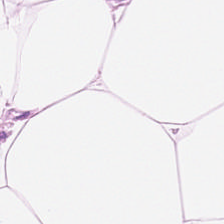Tissue type — adipose.
